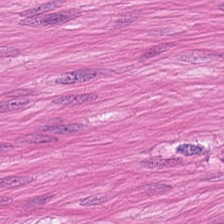Stain: hematoxylin and eosin.
Tissue type: muscularis.
